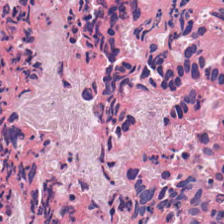Hematoxylin and eosin. Predominantly necrotic debris.
